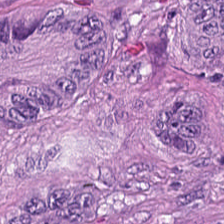H&E stain; 224×224 px tile — This patch shows adenocarcinoma.
